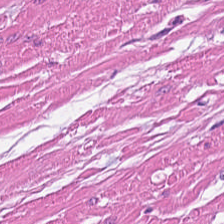Q: Identify the tissue.
A: Smooth-muscle tissue.
